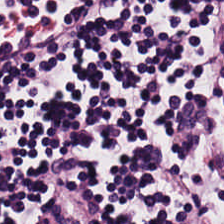H&E. Brightfield microscopy. FFPE. Q: What is shown in this field?
A: The field shows lymphocyte aggregate.
